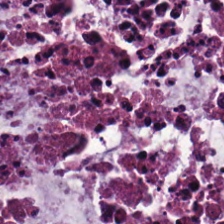Hematoxylin-and-eosin stained section. 224×224 px tile — Q: Identify the tissue.
A: This is extracellular mucin.
